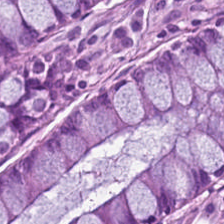H&E-stained tissue section; WSI patch — The tissue here is benign colonic mucosa.
